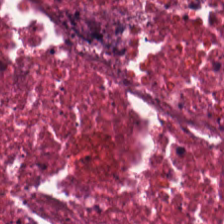Hematoxylin-and-eosin section: necrotic debris.
